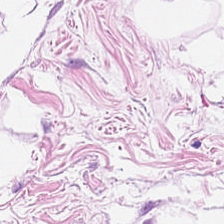Hematoxylin and eosin · 0.5 µm per pixel.
Predominantly adipocytes.
